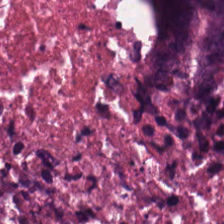Q: What does this patch show?
A: Cellular debris.
